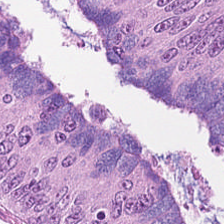224×224 px patch; H&E stain — Adenocarcinoma.
